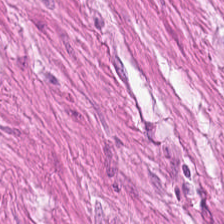0.5 µm per pixel · hematoxylin and eosin. Classification — smooth-muscle tissue.
